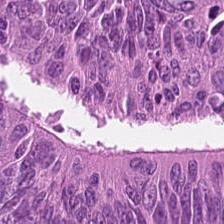Brightfield microscopy. H&E-stained tissue section. 224×224 px tile — This patch shows tumor epithelium.
